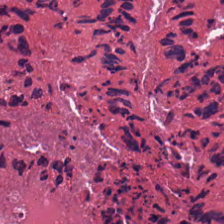Hematoxylin and eosin — Classification: debris.
